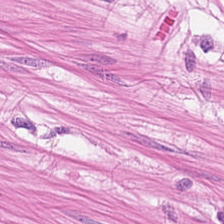Showing smooth muscle.
